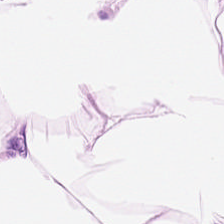Hematoxylin-and-eosin stained section; 0.5 µm/px. Fat tissue.
